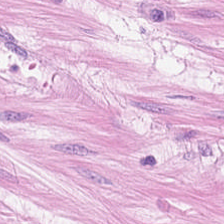H&E-stained tissue section. Tissue: smooth-muscle tissue.
